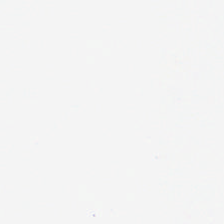Field content: background (no tissue).
